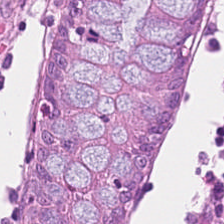224×224 px patch; hematoxylin and eosin.
Tissue class: normal colon mucosa.
